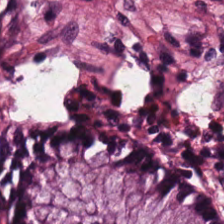H&E-stained tissue section.
Predominant tissue: normal colon mucosa.
